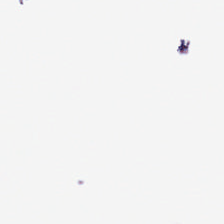Hematoxylin and eosin — No tissue present; background only.
